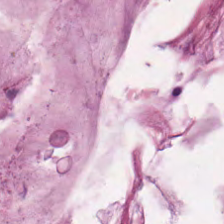Mucus.
